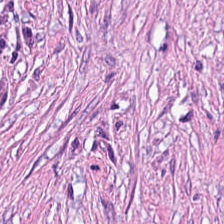WSI patch · hematoxylin-and-eosin stained section · 224×224 pixel tile.
Q: What tissue type is shown here?
A: It is tumor stroma.
